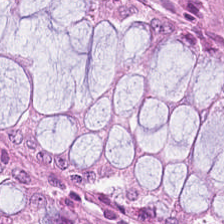Hematoxylin-and-eosin stained section · 224×224 pixel tile · FFPE — This field is non-neoplastic colon mucosa.
